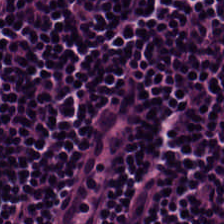H&E-stained tissue section; 224×224 px patch — Q: What is shown here?
A: Lymphocyte aggregate.
